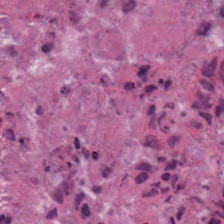Tissue type: necrotic debris.
